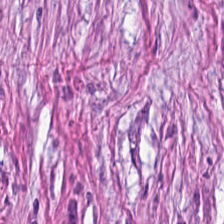FFPE; hematoxylin-and-eosin stained section — The predominant tissue is tumor stroma.
